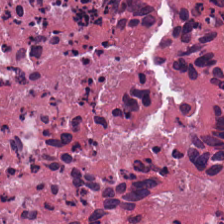Formalin-fixed paraffin-embedded section · hematoxylin and eosin.
Histology — cellular debris.
